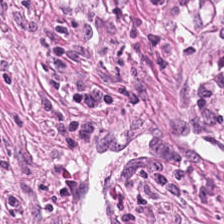H&E; brightfield. Finding — desmoplastic stroma.
